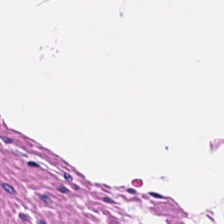H&E-stained tissue section. Showing muscularis.
